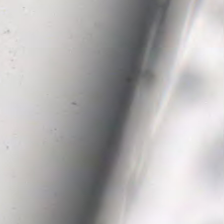Hematoxylin-and-eosin stained section. Background (no tissue).
